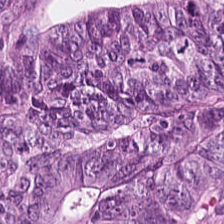H&E stain. Tissue type: tumor epithelium.
